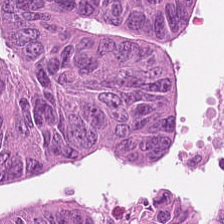Stain: hematoxylin-and-eosin stained section.
Tissue class: colorectal adenocarcinoma epithelium.
